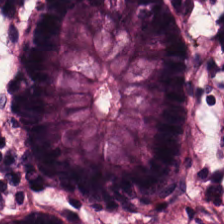Q: What is shown in this field?
A: Normal colon mucosa.
